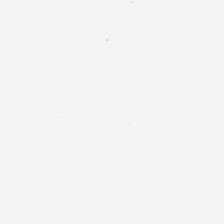Impression → no tissue.
